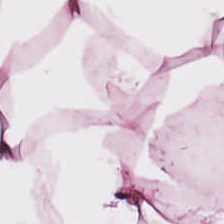Stain: hematoxylin-and-eosin stained section.
Predominant tissue: fat tissue.
